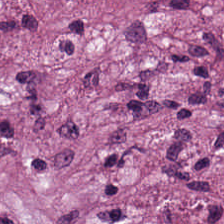Predominant tissue: cancer-associated stroma.
